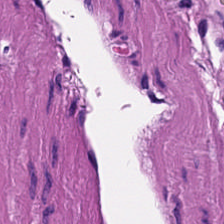H&E — muscularis.
